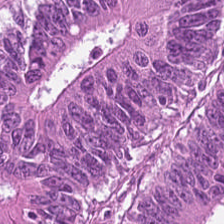Malignant epithelium.
